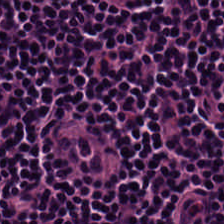Tissue — lymphocyte aggregate.
